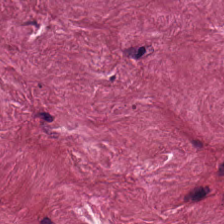Tissue class = desmoplastic stroma.
